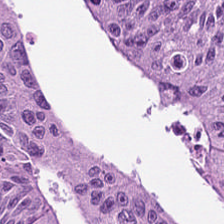The predominant tissue is malignant epithelium.
